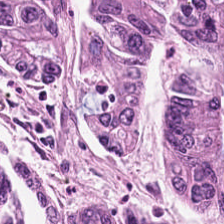Q: What type of tissue is this?
A: Colorectal adenocarcinoma.
